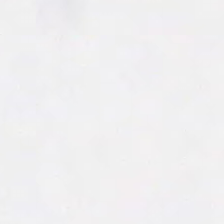224×224 px patch; hematoxylin-and-eosin stained section. Q: What is shown in this field?
A: It is background (no tissue).
